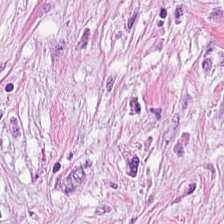H&E — The predominant tissue is tumor stroma.
